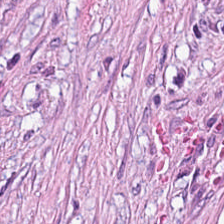Whole-slide-image patch · H&E-stained tissue section.
Showing desmoplastic stroma.
